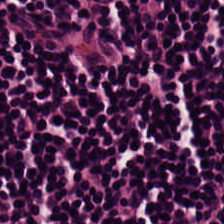224×224 px tile; hematoxylin-and-eosin stained section.
Predominantly lymphocytes.
